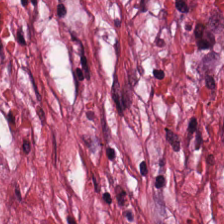FFPE; H&E stain — Tissue = tumor-associated stroma.
